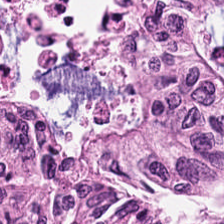Histology → tumor epithelium.
